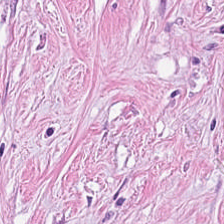Predominant tissue — desmoplastic stroma.
